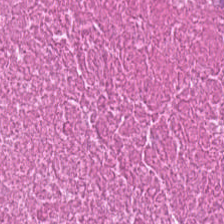H&E stain. Formalin-fixed paraffin-embedded section.
Tissue: necrotic debris.
